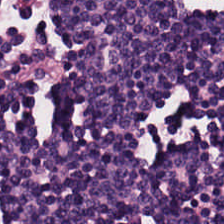The tissue here is lymphocyte aggregate.
